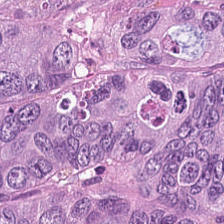H&E-stained tissue section · 224×224 px tile · brightfield. Impression → tumor epithelium.
